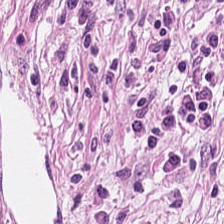H&E-stained tissue section showing tumor stroma.
